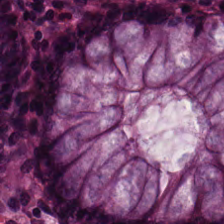H&E; 0.5 µm/px.
Histology → benign colonic mucosa.
